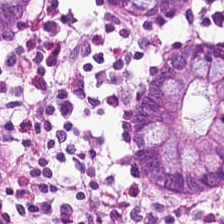H&E-stained tissue section · brightfield microscopy.
This field is normal colon mucosa.
